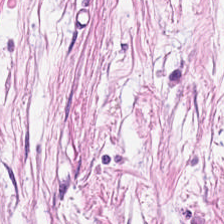224×224 px patch. Hematoxylin-and-eosin stained section. FFPE tissue section — Cancer-associated stroma.
